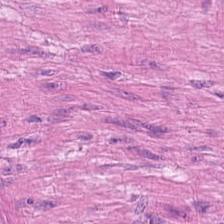Classification = smooth muscle.
